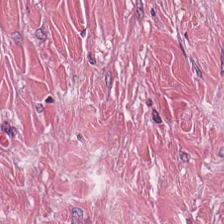H&E-stained tissue section · formalin-fixed paraffin-embedded section — Impression — tumor stroma.
